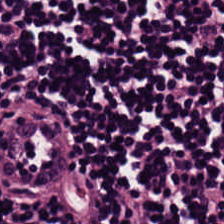Hematoxylin and eosin — Showing lymphocytic infiltrate.
